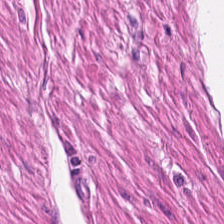H&E-stained tissue section · 20× equivalent magnification. This field is smooth muscle.
